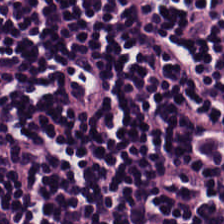H&E stain; FFPE; 20× equivalent magnification.
This patch shows lymphocytes.
